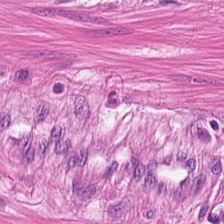H&E-stained tissue section. FFPE tissue section. Impression — muscularis.
